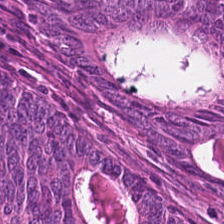H&E stain; 0.5 µm per pixel. The tissue class is tumor epithelium.
